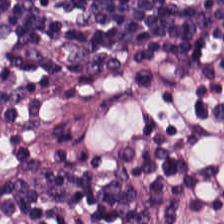224×224 px patch. Hematoxylin-and-eosin stained section. Showing lymphocyte aggregate.
